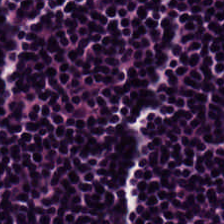Hematoxylin and eosin. Impression — lymphoid infiltrate.
